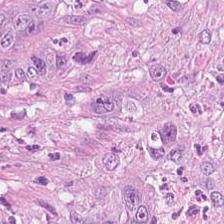Hematoxylin-and-eosin stained section. Tissue type = malignant epithelium.
